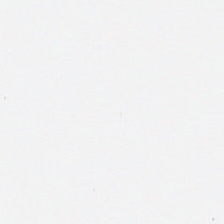The classification is background (no tissue).
